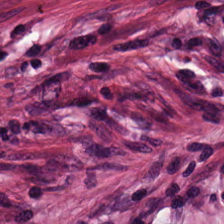Finding — tumor-associated stroma.
